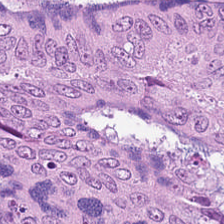H&E stain — The tissue class is adenocarcinoma.
